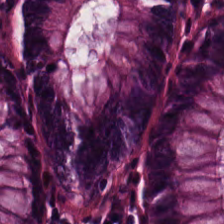H&E-stained tissue section.
{"tissue_type": "normal colonic mucosa"}
